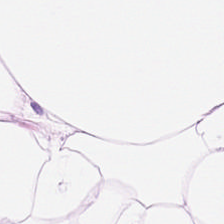Stain: H&E.
Acquisition: brightfield.
Tissue type: adipose.
